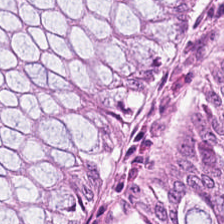H&E stain · 0.5 microns per pixel · FFPE.
This field is non-neoplastic colon mucosa.
